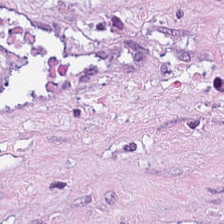Q: What is the predominant tissue type?
A: It is cancer-associated stroma.
